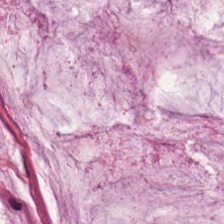H&E.
Finding — mucin.
